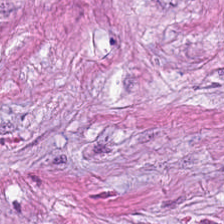Hematoxylin and eosin. Q: What does this patch show?
A: Desmoplastic stroma.
